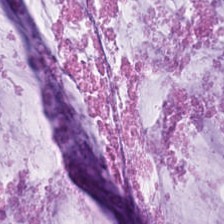H&E stain — The tissue here is mucin.
